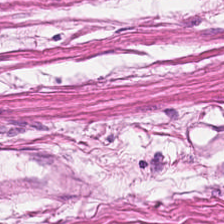Hematoxylin-and-eosin stained section — Tissue type — smooth-muscle tissue.
